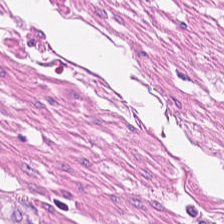H&E stain · FFPE tissue section — Smooth muscle.
